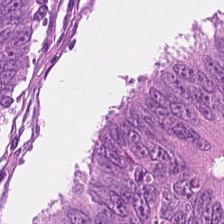H&E-stained tissue section.
Predominantly tumor epithelium.
